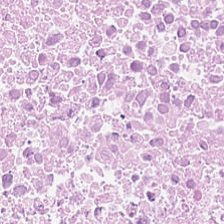Classification = necrotic debris.
